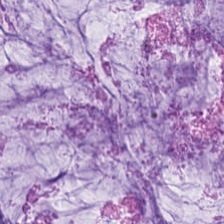H&E-stained tissue section — This patch shows mucus.
